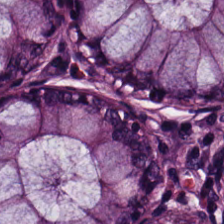Hematoxylin-and-eosin stained section; 0.5 microns per pixel.
{"tissue_type": "normal colon mucosa"}
